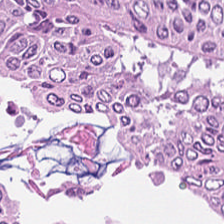0.5 microns per pixel; H&E; whole-slide-image patch. The tissue type is adenocarcinoma.
